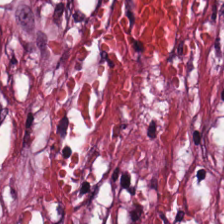Hematoxylin-and-eosin stained section.
Tissue: desmoplastic stroma.
